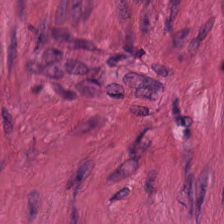Stain: hematoxylin and eosin.
Resolution: 0.5 microns per pixel.
Classification: smooth muscle.
